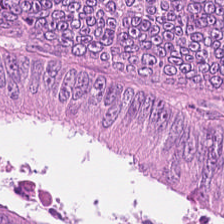Brightfield microscopy · hematoxylin and eosin · 0.5 µm/px. Predominantly adenocarcinoma.
